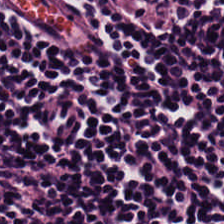Impression → lymphocytic infiltrate.
